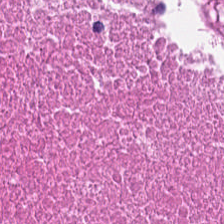H&E-stained tissue section; 224×224 pixel tile — The tissue here is cellular debris.
